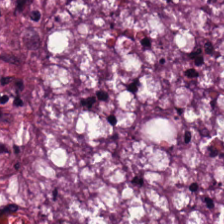Hematoxylin and eosin.
Q: What is the predominant tissue type?
A: This is colorectal adenocarcinoma epithelium.
